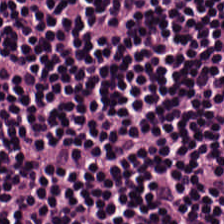Hematoxylin and eosin.
{"tissue_type": "lymphocytes"}
